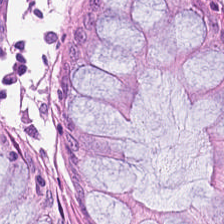Hematoxylin-and-eosin stained section.
The predominant tissue is normal colon mucosa.
